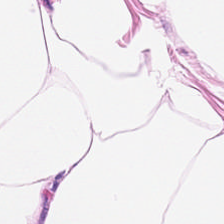H&E stain.
Predominantly adipose tissue.
